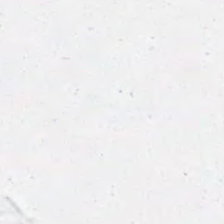Whole-slide-image patch; hematoxylin and eosin. {"content": "no tissue"}
